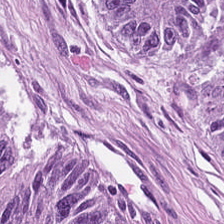Hematoxylin and eosin. 0.5 µm per pixel. Q: What tissue is shown?
A: The field shows tumor epithelium.
